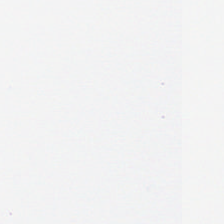This field is background (no tissue).
